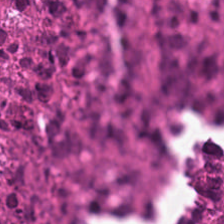The classification is necrotic debris.
